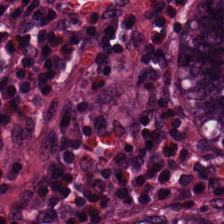Predominant tissue = normal colonic mucosa.
